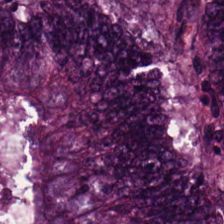Q: Classify this patch.
A: It is tumor epithelium.
